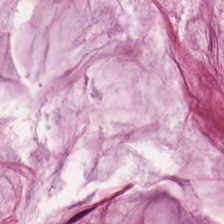Hematoxylin-and-eosin stained section; FFPE tissue section — Mucus.
